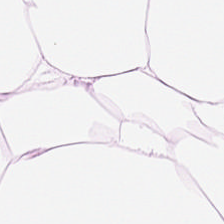224×224 px patch · H&E · WSI patch. Q: What type of tissue is this?
A: This is adipocytes.
